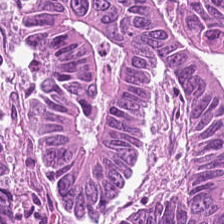Stain: hematoxylin and eosin.
Resolution: 0.5 µm per pixel.
Preparation: formalin-fixed paraffin-embedded section.
Classification: tumor epithelium.
